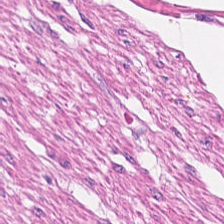Stain: H&E stain.
Preparation: FFPE.
Tissue class: smooth-muscle tissue.
